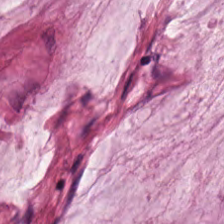Stain: H&E stain.
Predominant tissue: extracellular mucin.
